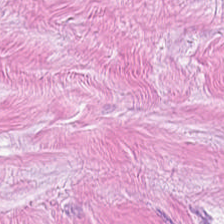H&E-stained tissue section. 0.5 microns per pixel.
Histology — tumor-associated stroma.
